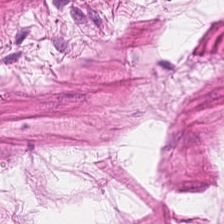Hematoxylin and eosin · brightfield microscopy. Predominantly smooth-muscle tissue.
